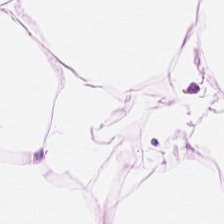Hematoxylin-and-eosin stained section.
Predominant tissue = fat tissue.
